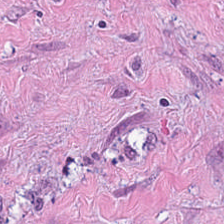20× equivalent magnification. Hematoxylin and eosin.
Q: What does this patch show?
A: It is cancer-associated stroma.
